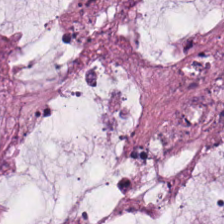H&E-stained tissue section. The tissue here is extracellular mucin.
